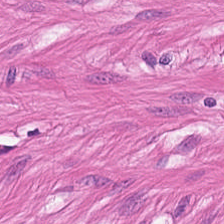Hematoxylin and eosin. Formalin-fixed paraffin-embedded section — This patch shows smooth-muscle tissue.
